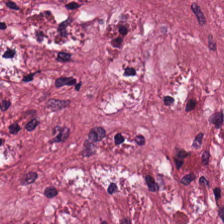20× equivalent magnification; H&E-stained tissue section; 224×224 pixel tile.
This patch shows cancer-associated stroma.
